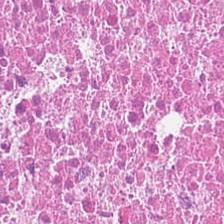H&E. Predominantly debris.
